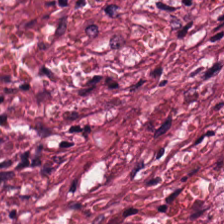Stain: H&E-stained tissue section.
Tissue class: tumor-associated stroma.
